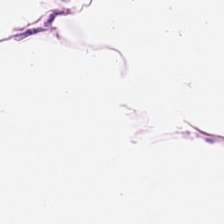224×224 px patch. Hematoxylin-and-eosin stained section. Formalin-fixed paraffin-embedded section. Q: What type of tissue is this?
A: Fat tissue.
